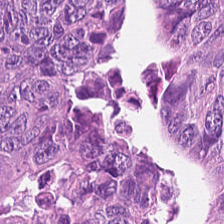H&E stain; 20× equivalent magnification. This field is colorectal adenocarcinoma epithelium.
